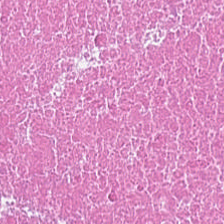Brightfield microscopy · H&E-stained tissue section · 224×224 px patch. Q: What does this patch show?
A: Debris.
